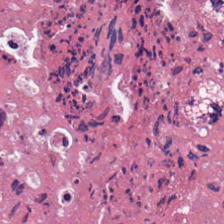WSI patch. 0.5 µm per pixel. H&E stain — Q: What is the predominant tissue type?
A: Cellular debris.
